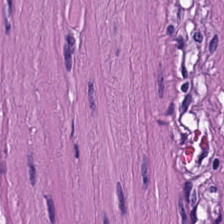H&E. Predominant tissue: smooth muscle.
